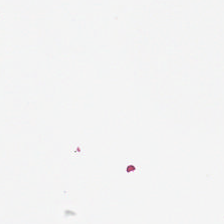H&E stain — Classification — background.
